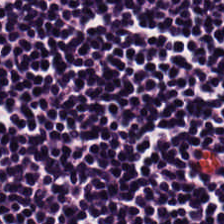Q: What does this patch show?
A: The field shows lymphocytes.
